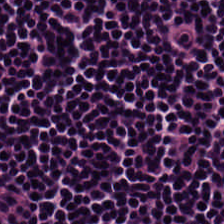Hematoxylin-and-eosin stained section — Q: What tissue is shown?
A: It is lymphocytic infiltrate.
